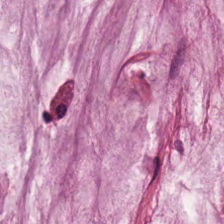0.5 µm/px. H&E-stained tissue section — Mucus.
